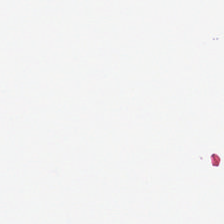Background.
